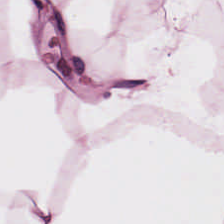0.5 microns per pixel. H&E — Tissue class: adipose tissue.
